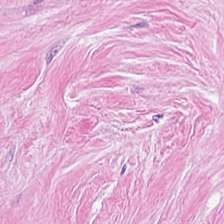Hematoxylin and eosin. Brightfield microscopy. 0.5 µm per pixel.
Tissue type: tumor stroma.
